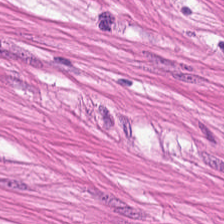Hematoxylin and eosin.
Classification = muscularis.
